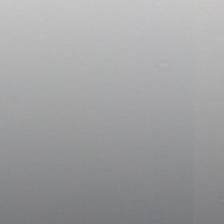Hematoxylin and eosin; FFPE tissue section; brightfield microscopy. No tissue present; background only.
